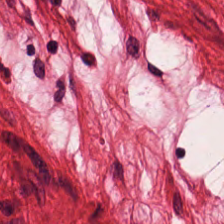H&E — Q: What does this patch show?
A: The field shows smooth muscle.
